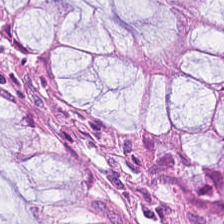H&E.
Predominant tissue — normal colon mucosa.
